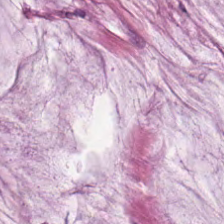{"tissue_type": "mucus"}
